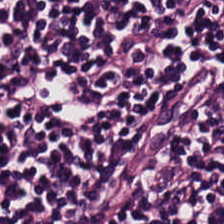H&E — Q: What is shown in this field?
A: Lymphocyte aggregate.
